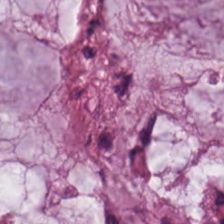224×224 px patch; H&E — Q: What tissue is shown?
A: It is extracellular mucin.
